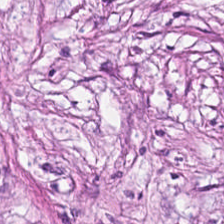Predominant tissue = tumor-associated stroma.
